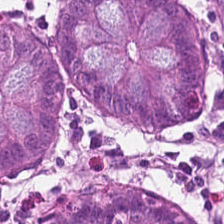FFPE tissue section · 0.5 microns per pixel · hematoxylin and eosin — This field is normal colonic mucosa.
